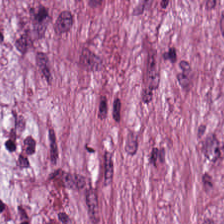Stain: hematoxylin-and-eosin stained section.
Preparation: formalin-fixed paraffin-embedded section.
Acquisition: WSI patch.
Classification: desmoplastic stroma.
